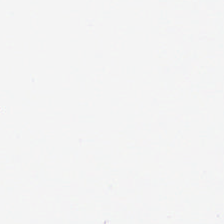224×224 px tile · hematoxylin and eosin. Empty background.
